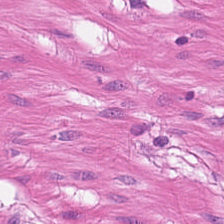Formalin-fixed paraffin-embedded section · 224×224 px tile · H&E stain — Q: Identify the tissue.
A: This is smooth-muscle tissue.
